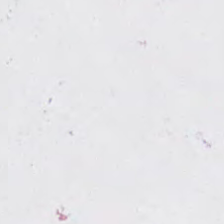20× equivalent magnification. H&E-stained tissue section. Empty field — background.
